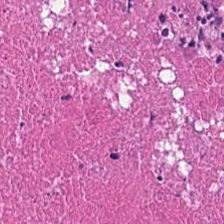Stain: H&E-stained tissue section.
Tissue: debris.
